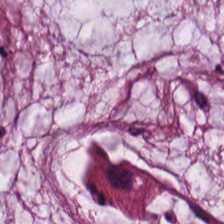Formalin-fixed paraffin-embedded section. Hematoxylin and eosin. WSI patch. Classification: mucin.
